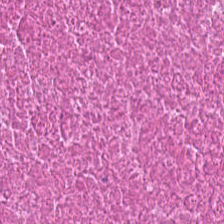Hematoxylin and eosin — The tissue here is necrotic debris.
